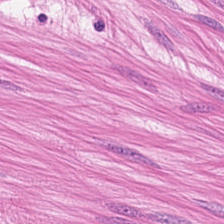H&E stain — Predominant tissue = muscularis.
